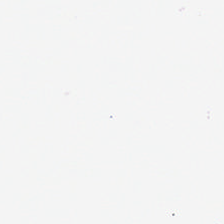Hematoxylin and eosin. Background.
